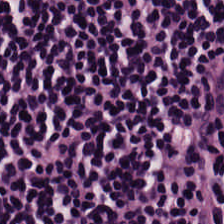224×224 px patch; hematoxylin and eosin — Lymphocyte aggregate.
